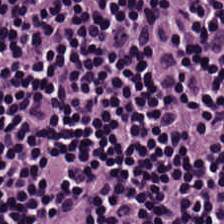Hematoxylin-and-eosin stained section.
Q: What tissue type is shown here?
A: Lymphocytes.
